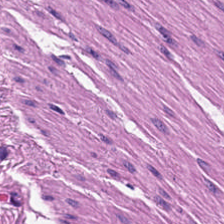H&E-stained tissue section.
Predominantly smooth-muscle tissue.
